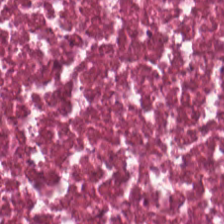224×224 px tile. Hematoxylin-and-eosin stained section. Showing necrotic debris.
